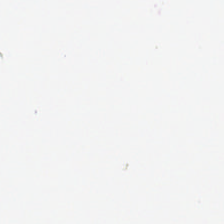Stain: H&E.
Tile size: 224×224 px patch.
Content: empty background.
